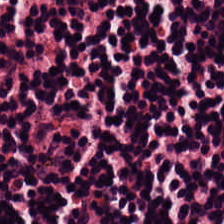224×224 pixel tile · 0.5 microns per pixel · hematoxylin-and-eosin stained section — Lymphocytic infiltrate.
